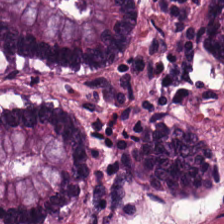Stain: H&E-stained tissue section.
Acquisition: brightfield.
Tissue class: normal colonic mucosa.
